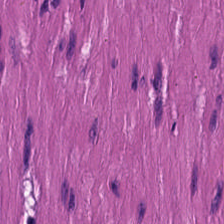Hematoxylin-and-eosin stained section. Q: What is shown here?
A: It is smooth-muscle tissue.
